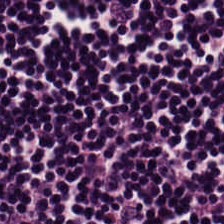H&E-stained tissue section.
{"tissue_type": "lymphocyte aggregate"}
